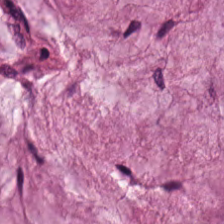Hematoxylin and eosin — Mucin.
